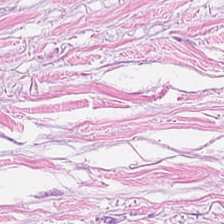Q: Identify the tissue.
A: It is desmoplastic stroma.
